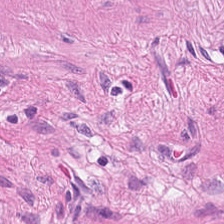H&E-stained tissue section. Impression → muscularis.
